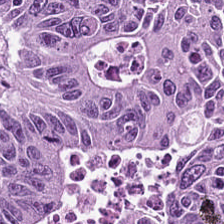H&E-stained tissue section — Finding → malignant epithelium.
